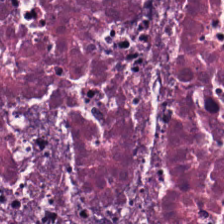Stain: H&E-stained tissue section.
Predominant tissue: necrotic debris.
